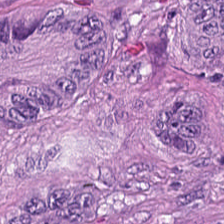Hematoxylin and eosin — Impression — colorectal adenocarcinoma epithelium.
